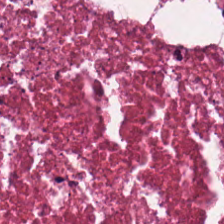H&E-stained tissue section.
Q: Classify this patch.
A: The field shows cellular debris.
